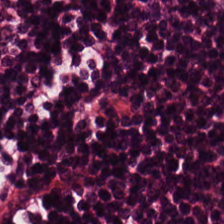H&E.
Finding — lymphocytes.
